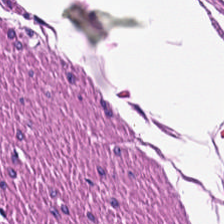Stain: H&E.
Acquisition: brightfield.
Preparation: FFPE tissue section.
Tissue type: smooth muscle.
